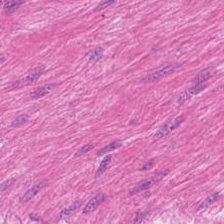224×224 px patch. Hematoxylin-and-eosin stained section. The predominant tissue is smooth muscle.
